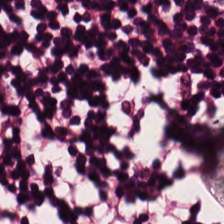224×224 pixel tile · hematoxylin and eosin. Histology → lymphocyte aggregate.
